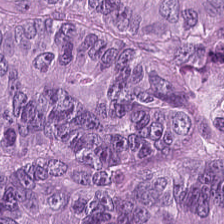Stain: hematoxylin and eosin.
Resolution: 0.5 microns per pixel.
Predominant tissue: malignant epithelium.
